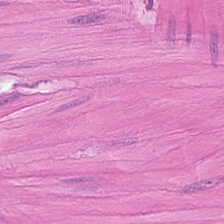FFPE tissue section; H&E stain; 224×224 px patch — {"tissue_type": "smooth muscle"}
